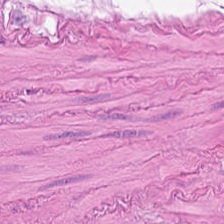H&E · 20× equivalent magnification · brightfield microscopy — Predominant tissue = smooth muscle.
